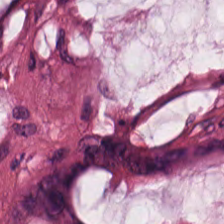Predominantly mucus.
